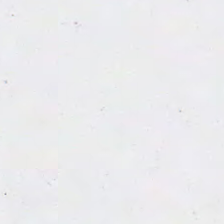H&E stain. Empty field — background (no tissue).
